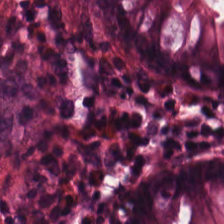Hematoxylin-and-eosin stained section. Histology — normal colonic mucosa.
